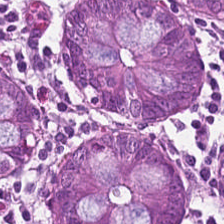The tissue is normal colon mucosa.
